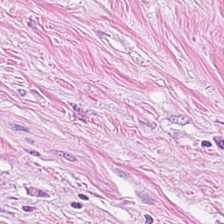20× equivalent magnification · hematoxylin and eosin. Predominant tissue = tumor-associated stroma.
